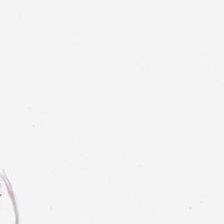Background.
